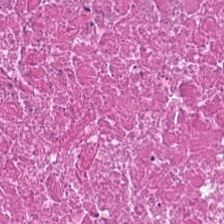Classification — debris.
